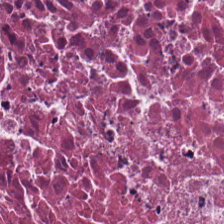H&E stain — Classification: debris.
